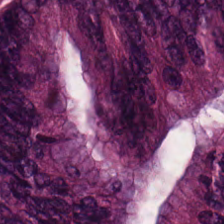Stain: H&E.
Tissue type: colorectal adenocarcinoma.
